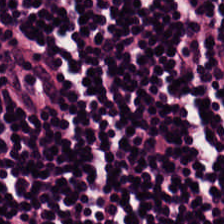224×224 pixel tile; H&E. This field is lymphocytic infiltrate.
